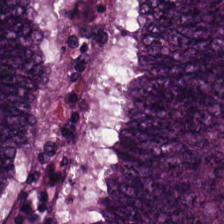224×224 px tile · WSI patch · hematoxylin and eosin.
Tissue class = tumor epithelium.
